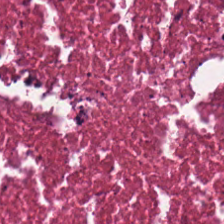H&E; formalin-fixed paraffin-embedded section. The tissue here is cellular debris.
